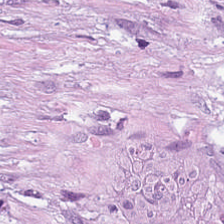Q: What type of tissue is this?
A: Tumor stroma.
